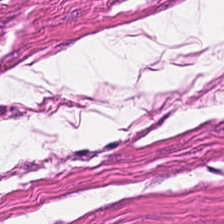Hematoxylin-and-eosin stained section.
The predominant tissue is smooth muscle.
